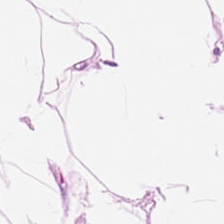Hematoxylin-and-eosin stained section · 0.5 microns per pixel · FFPE.
Showing fat tissue.
